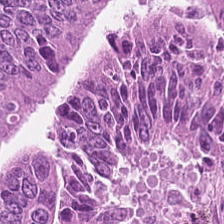FFPE tissue section · H&E. Tissue — colorectal adenocarcinoma.
